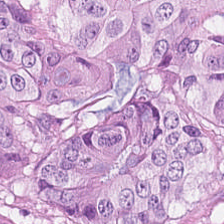H&E-stained tissue section.
Tissue = adenocarcinoma.
